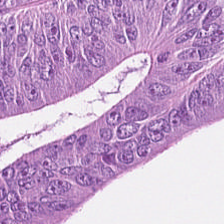Formalin-fixed paraffin-embedded section; H&E stain — Q: Identify the tissue.
A: It is adenocarcinoma.
